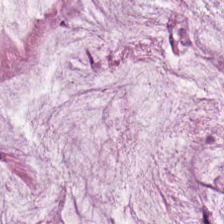FFPE; H&E. Q: What tissue type is shown here?
A: Mucin.
